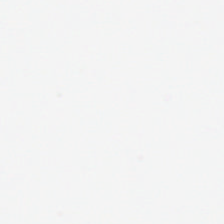H&E-stained tissue section.
Finding → background (no tissue).
